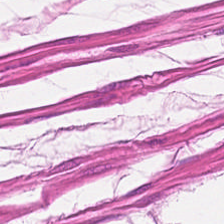H&E — Q: What tissue type is shown here?
A: The field shows smooth-muscle tissue.
